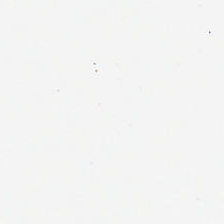H&E — {"content": "background"}
